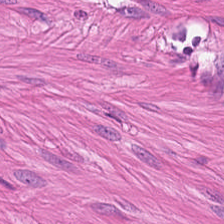Hematoxylin-and-eosin stained section — Predominant tissue = smooth muscle.
